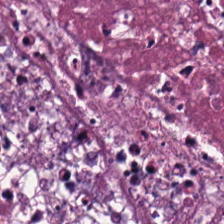Hematoxylin and eosin. Cellular debris.
